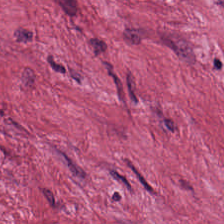H&E stain. Q: What tissue is shown?
A: The field shows desmoplastic stroma.
